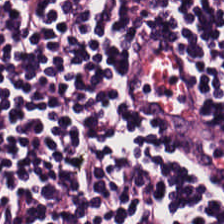Hematoxylin-and-eosin stained section. The tissue type is lymphocytic infiltrate.
